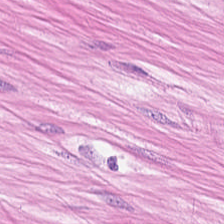H&E. Formalin-fixed paraffin-embedded section. 224×224 px patch. This patch shows smooth muscle.
